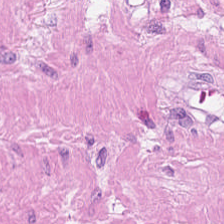Stain: H&E-stained tissue section.
Tissue: smooth-muscle tissue.
